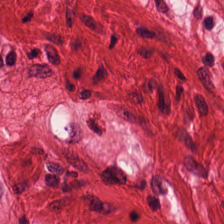Hematoxylin and eosin.
Finding → muscularis.
